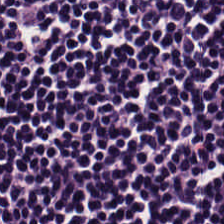224×224 px patch. FFPE. H&E stain.
Lymphocytic infiltrate.
